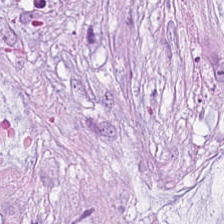H&E-stained tissue section · WSI patch · 0.5 µm per pixel.
The tissue is extracellular mucin.
